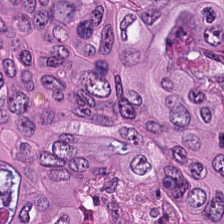Adenocarcinoma.
